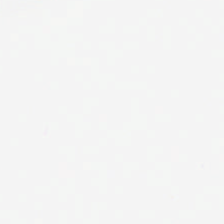H&E-stained tissue section. Histology → no tissue.
